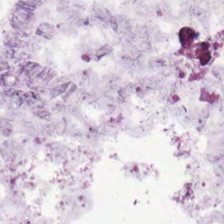Hematoxylin and eosin. Q: Identify the tissue.
A: This is mucus.
